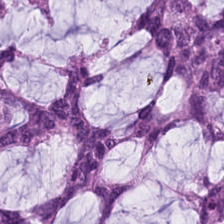Showing mucin.
